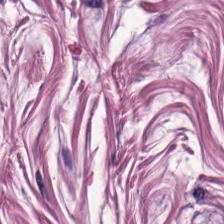0.5 µm per pixel. Hematoxylin-and-eosin stained section.
Predominant tissue = muscularis.
